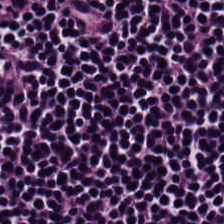H&E stain — Q: Classify this patch.
A: It is lymphocytes.
